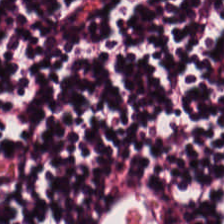Lymphocyte aggregate.
